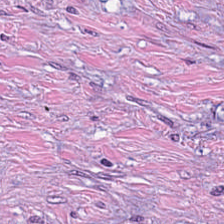The predominant tissue is tumor-associated stroma.
